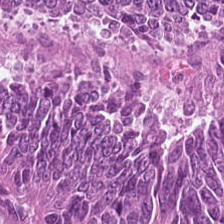Tissue class — adenocarcinoma.
